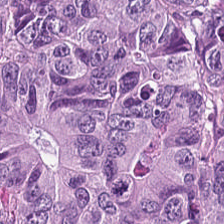0.5 µm per pixel · hematoxylin-and-eosin stained section. This patch shows malignant epithelium.
